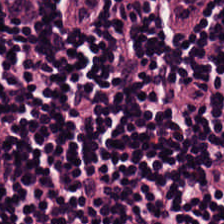Hematoxylin-and-eosin stained section · 224×224 px tile.
Q: What is shown in this field?
A: Lymphocytes.
